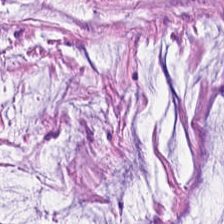H&E stain. Formalin-fixed paraffin-embedded section. 224×224 px tile.
Q: What is the predominant tissue type?
A: It is mucin.
